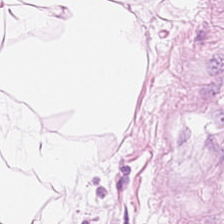Hematoxylin-and-eosin stained section. This field is adipose tissue.
